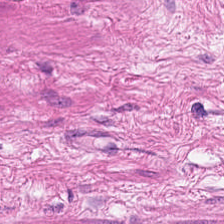Brightfield microscopy; H&E-stained tissue section.
Q: What does this patch show?
A: Muscularis.
